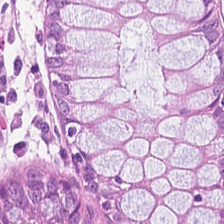Hematoxylin and eosin; 224×224 px tile — This field is normal colonic mucosa.
